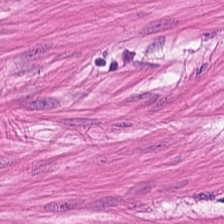224×224 px tile; 0.5 µm/px; hematoxylin and eosin. This field is smooth-muscle tissue.
